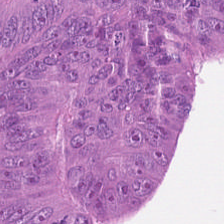Hematoxylin and eosin. Finding → colorectal adenocarcinoma.
